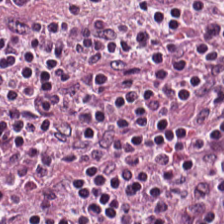Hematoxylin-and-eosin stained section.
Q: What does this patch show?
A: This is lymphocytic infiltrate.
